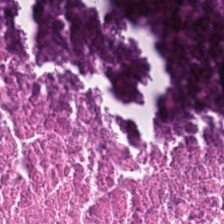Stain: hematoxylin-and-eosin stained section.
Classification: cellular debris.
